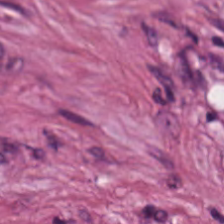H&E — Tumor-associated stroma.
